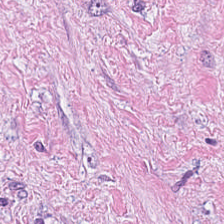Hematoxylin-and-eosin stained section · FFPE tissue section · whole-slide-image patch — Tissue type = cancer-associated stroma.
